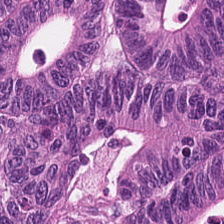224×224 px patch. WSI patch. Hematoxylin-and-eosin stained section. The tissue class is tumor epithelium.
